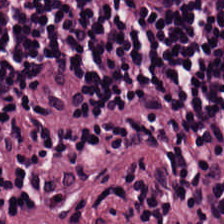Hematoxylin and eosin.
Histology — lymphocytes.
